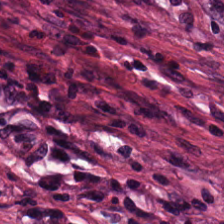This patch shows cancer-associated stroma.
